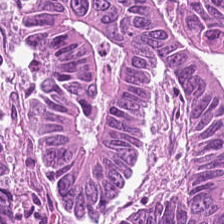Classification — colorectal adenocarcinoma epithelium.
